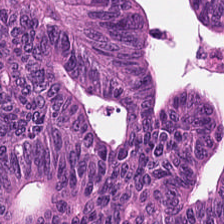Brightfield microscopy · 0.5 µm per pixel · H&E stain. {"tissue_type": "colorectal adenocarcinoma"}
